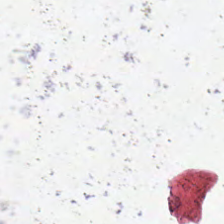Background (no tissue).
